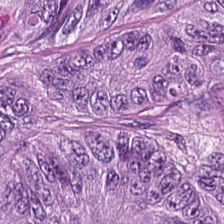Hematoxylin and eosin. {"tissue_type": "colorectal adenocarcinoma"}
